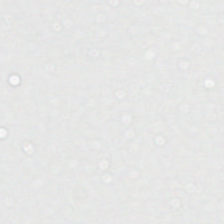FFPE · 0.5 µm per pixel · hematoxylin and eosin — Field content — empty background.
